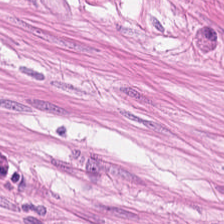Brightfield microscopy · H&E — Tissue class: smooth-muscle tissue.
